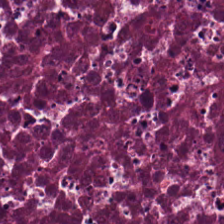Predominantly necrotic debris.
